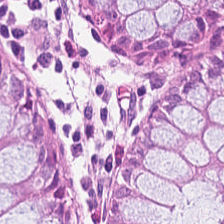Hematoxylin-and-eosin stained section · whole-slide-image patch.
Q: Identify the tissue.
A: Normal colonic mucosa.
